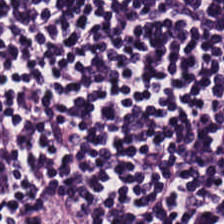FFPE. 20× equivalent magnification. Hematoxylin and eosin.
The tissue type is lymphocyte aggregate.
